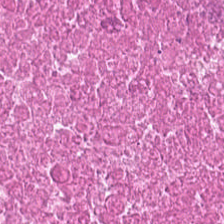H&E-stained tissue section.
Tissue type: necrotic debris.
